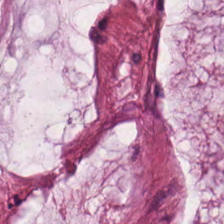H&E — extracellular mucin.
